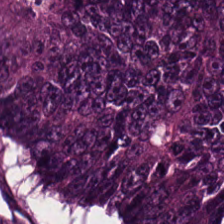H&E-stained tissue section — {"tissue_type": "colorectal adenocarcinoma"}
